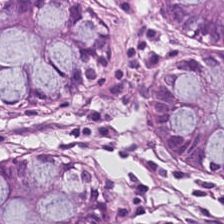Stain: H&E-stained tissue section.
Tissue: normal colonic mucosa.
